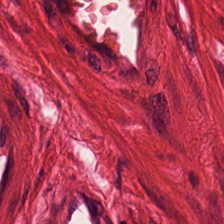Hematoxylin-and-eosin stained section. Classification — smooth muscle.
